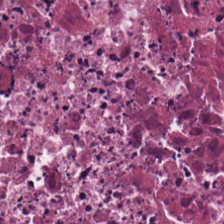H&E-stained tissue section — Predominant tissue — debris.
